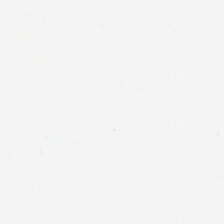H&E · 224×224 pixel tile — Content = no tissue.
